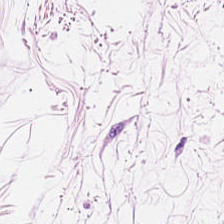{"tissue_type": "adipose tissue"}
